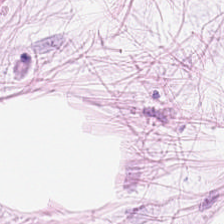H&E stain. 224×224 px tile. This field is fat tissue.
